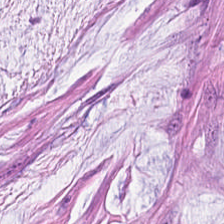H&E stain. Brightfield microscopy — Q: What tissue type is shown here?
A: The field shows mucus.
